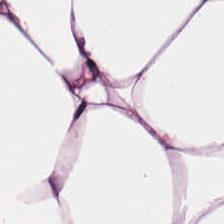Hematoxylin-and-eosin section: adipocytes.
